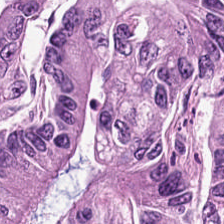Hematoxylin-and-eosin stained section. Brightfield microscopy. Q: Classify this patch.
A: The field shows malignant epithelium.
